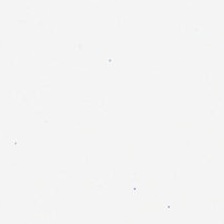Formalin-fixed paraffin-embedded section. Hematoxylin and eosin. Empty background.
